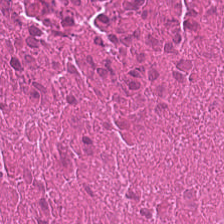Hematoxylin and eosin.
Finding → debris.
